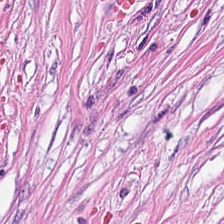H&E patch showing tumor-associated stroma.
